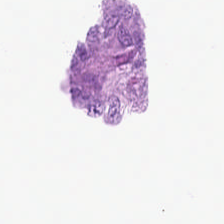H&E-stained tissue section — Q: What does this patch show?
A: This is no tissue.
